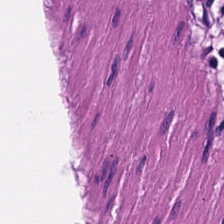224×224 pixel tile; FFPE tissue section; hematoxylin and eosin.
Impression → smooth-muscle tissue.
